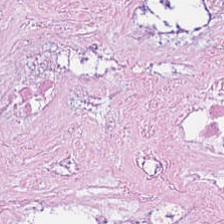Brightfield; formalin-fixed paraffin-embedded section; hematoxylin-and-eosin stained section. Finding — debris.
